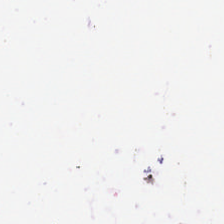0.5 microns per pixel; hematoxylin and eosin. Content — empty background.
